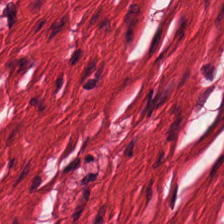H&E · FFPE. The predominant tissue is muscularis.
